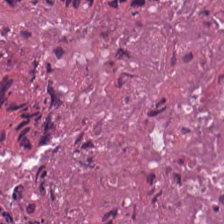{"tissue_type": "cellular debris"}
